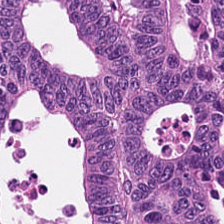Hematoxylin and eosin.
Tissue class: malignant epithelium.
